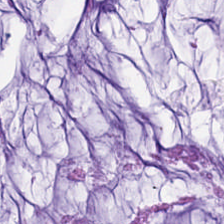224×224 px tile; H&E-stained tissue section; formalin-fixed paraffin-embedded section.
Finding — mucin.
